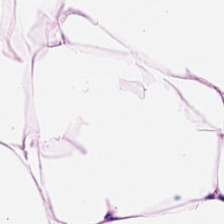This field is adipocytes.
